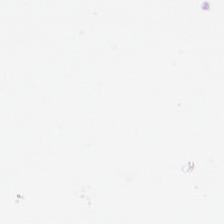Empty field — background (no tissue).
